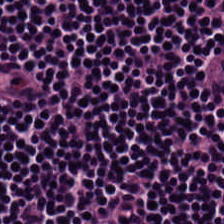Hematoxylin-and-eosin stained section. Predominant tissue = lymphocytes.
